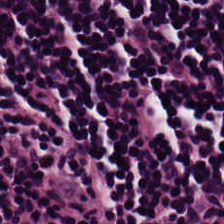Brightfield microscopy · hematoxylin-and-eosin stained section.
Predominantly lymphoid infiltrate.
